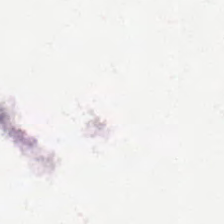Hematoxylin-and-eosin stained section — The content is background.
